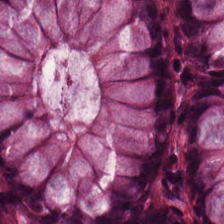H&E — normal colonic mucosa.
